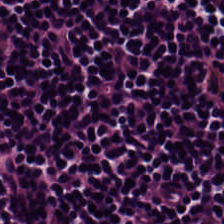Hematoxylin-and-eosin stained section.
Q: Classify this patch.
A: The field shows lymphocytes.
